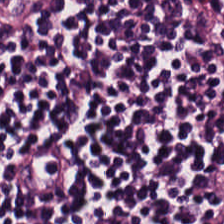Q: What is shown in this field?
A: Lymphocytic infiltrate.
